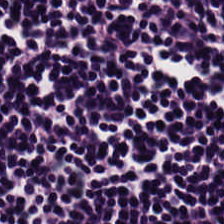Hematoxylin and eosin; formalin-fixed paraffin-embedded section — Q: Classify this patch.
A: It is lymphoid infiltrate.
